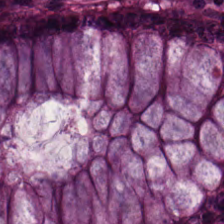H&E-stained tissue section.
The predominant tissue is normal colon mucosa.
